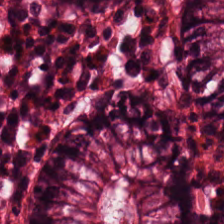224×224 px patch; formalin-fixed paraffin-embedded section; hematoxylin-and-eosin stained section — This field is normal colon mucosa.
